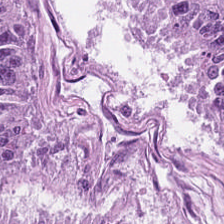Hematoxylin and eosin — The tissue is colorectal adenocarcinoma epithelium.
